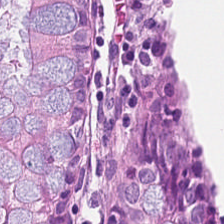Hematoxylin-and-eosin stained section — Tissue class: non-neoplastic colon mucosa.
